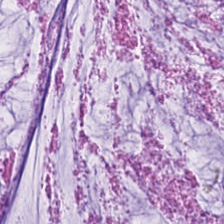Hematoxylin-and-eosin stained section — Q: What is shown here?
A: This is mucus.
